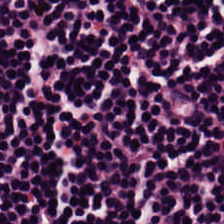H&E stain — Classification — lymphocytic infiltrate.
